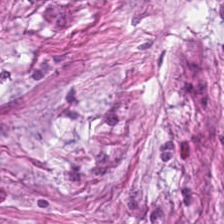H&E-stained tissue section. The tissue here is cancer-associated stroma.
